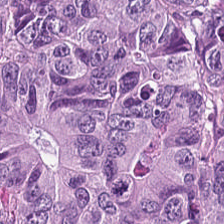H&E stain.
Histology — malignant epithelium.
